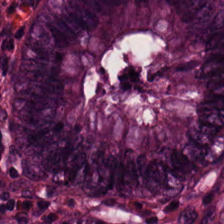Histology → benign colonic mucosa.
